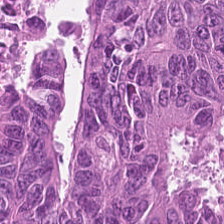H&E-stained tissue section.
Tumor epithelium.
